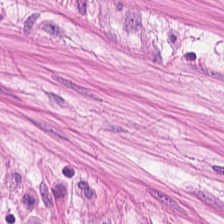H&E stain.
Classification = muscularis.
